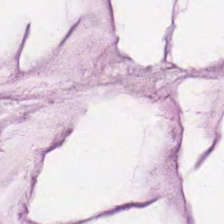H&E.
Finding — extracellular mucin.
